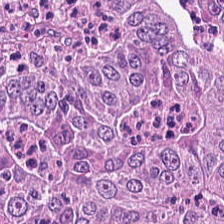The tissue type is tumor epithelium.
